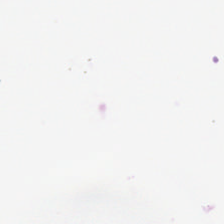20× equivalent magnification; H&E stain; brightfield. Background — no tissue in this field.
